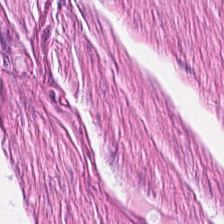Hematoxylin and eosin. Brightfield. Q: What does this patch show?
A: This is muscularis.
